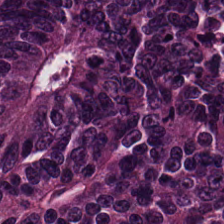Hematoxylin and eosin. This patch shows malignant epithelium.
